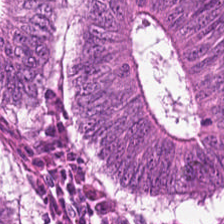Q: What tissue type is shown here?
A: Adenocarcinoma.
